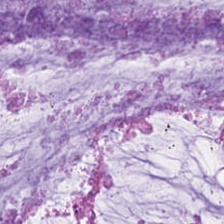Hematoxylin-and-eosin stained section. Predominant tissue: mucin.
